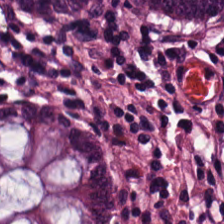H&E-stained tissue section.
{"tissue_type": "benign colonic mucosa"}
